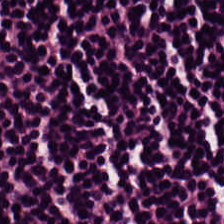Hematoxylin and eosin.
The predominant tissue is lymphocytes.
